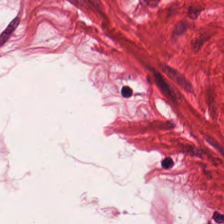H&E stain — This patch shows smooth muscle.
